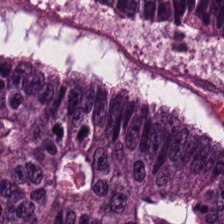H&E stain. The predominant tissue is malignant epithelium.
